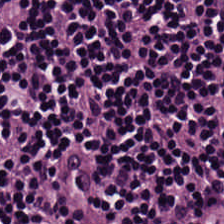Formalin-fixed paraffin-embedded section; H&E-stained tissue section — Predominant tissue = lymphoid infiltrate.
